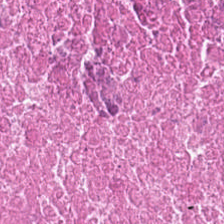H&E; brightfield microscopy.
Q: What does this patch show?
A: Necrotic debris.
